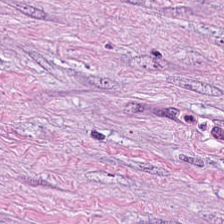FFPE tissue section. Hematoxylin-and-eosin stained section. 224×224 px patch — The tissue class is desmoplastic stroma.
